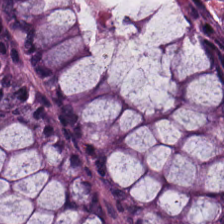Whole-slide-image patch; hematoxylin-and-eosin stained section; 0.5 µm per pixel.
Histology — normal colonic mucosa.
